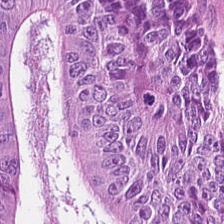0.5 µm per pixel · hematoxylin and eosin — Predominant tissue — colorectal adenocarcinoma epithelium.
